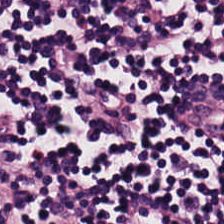H&E stain — Q: What tissue is shown?
A: The field shows lymphoid infiltrate.
